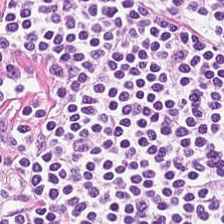H&E stain. The classification is lymphocytes.
